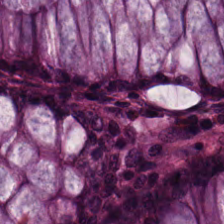224×224 px patch · H&E — Tissue class — normal colonic mucosa.
